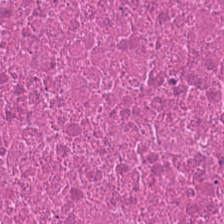Formalin-fixed paraffin-embedded section · hematoxylin and eosin · whole-slide-image patch — This patch shows necrotic debris.
